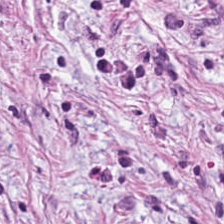H&E-stained tissue section — Predominant tissue — desmoplastic stroma.
